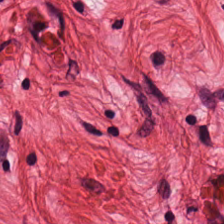Hematoxylin-and-eosin stained section. Showing smooth muscle.
